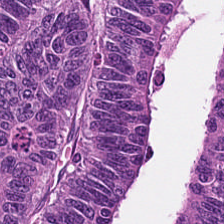H&E stain.
Predominant tissue — colorectal adenocarcinoma epithelium.
